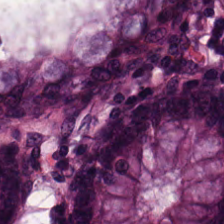Hematoxylin and eosin.
Q: What is shown here?
A: This is non-neoplastic colon mucosa.
